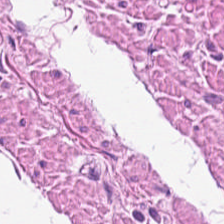H&E-stained tissue section. FFPE.
Showing smooth muscle.
